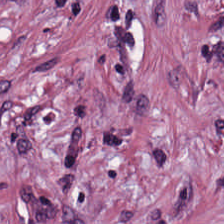H&E stain; 224×224 pixel tile. Showing desmoplastic stroma.
